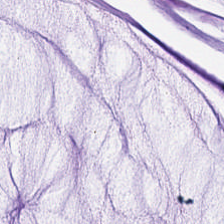Hematoxylin and eosin · whole-slide-image patch · 224×224 px tile — Tissue class = mucus.
